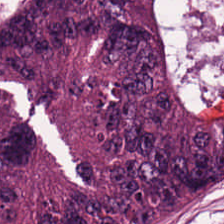Classification = colorectal adenocarcinoma epithelium.
